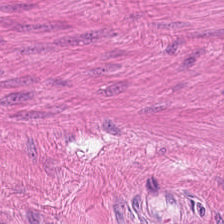H&E-stained section; the field shows smooth-muscle tissue.
